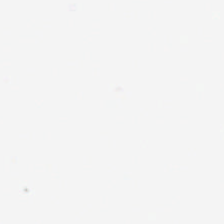Background (no tissue).
